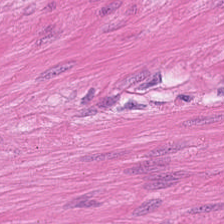H&E stain; 0.5 µm/px — Q: What type of tissue is this?
A: The field shows muscularis.
